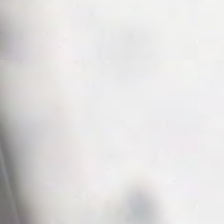H&E-stained tissue section. No tissue present; background only.
